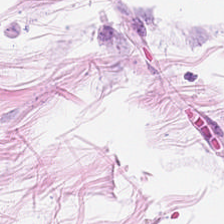Hematoxylin-and-eosin stained section. Adipose tissue.
